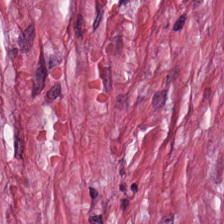H&E.
Tissue = tumor stroma.
